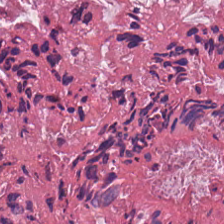Hematoxylin-and-eosin stained section. Impression → cellular debris.
